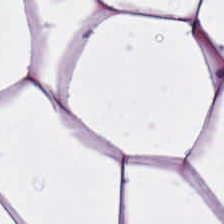Q: What tissue type is shown here?
A: The field shows adipocytes.
